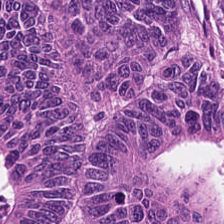Hematoxylin-and-eosin stained section. Impression → adenocarcinoma.
